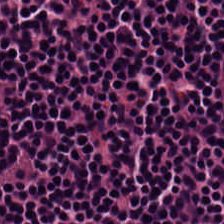Stain: H&E-stained tissue section.
Classification: lymphocytic infiltrate.
